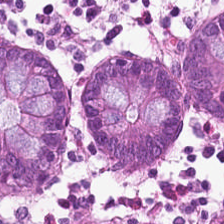H&E; WSI patch; FFPE. Finding — normal colonic mucosa.
